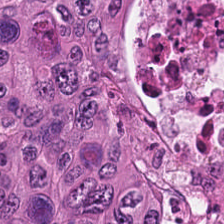Stain: hematoxylin-and-eosin stained section.
Acquisition: brightfield.
Resolution: 0.5 µm/px.
Tissue: colorectal adenocarcinoma.
